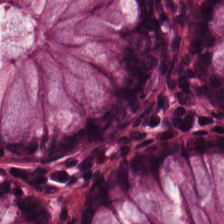Q: What type of tissue is this?
A: It is benign colonic mucosa.
